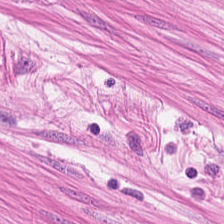FFPE · H&E stain. Predominantly muscularis.
